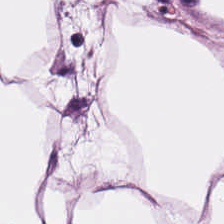FFPE. Hematoxylin and eosin. Whole-slide-image patch.
Histology → fat tissue.
